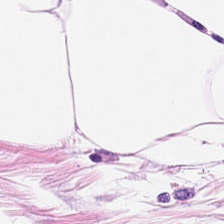H&E patch showing adipose tissue.
